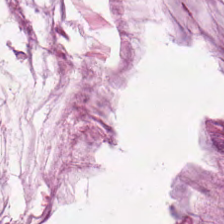224×224 px tile · H&E stain — Finding — mucus.
